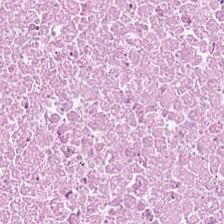H&E stain · 0.5 µm per pixel — Showing debris.
